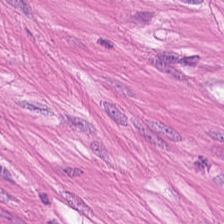Hematoxylin and eosin. This patch shows smooth muscle.
